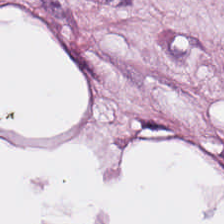H&E-stained tissue section · 224×224 pixel tile.
Impression — adipocytes.
